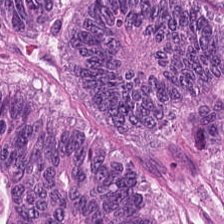Tissue type — malignant epithelium.
